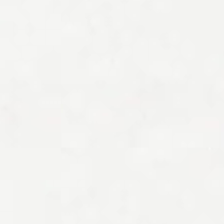H&E stain · 0.5 µm per pixel · 224×224 px tile — Empty field — no tissue.
